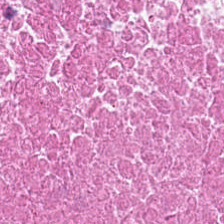Hematoxylin-and-eosin stained section.
Predominant tissue: cellular debris.
